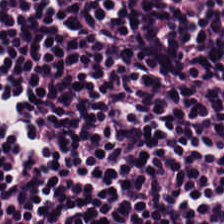Hematoxylin and eosin. Lymphoid infiltrate.
